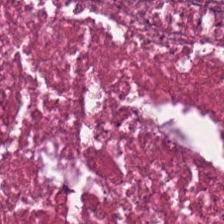H&E.
Q: What does this patch show?
A: This is cellular debris.
